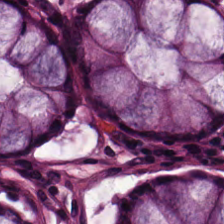H&E. {"tissue_type": "normal colonic mucosa"}
